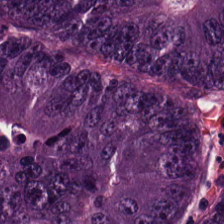H&E stain.
Classification — colorectal adenocarcinoma.
